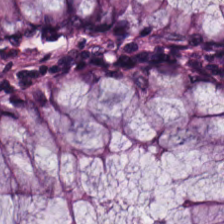224×224 pixel tile · hematoxylin and eosin. Tissue class = normal colon mucosa.
